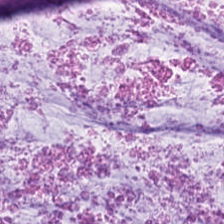224×224 px patch. H&E. The classification is mucus.
